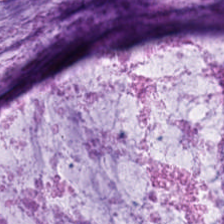H&E · 20× equivalent magnification — Tissue class: mucin.
